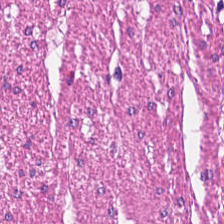H&E-stained tissue section.
The classification is muscularis.
